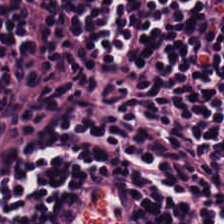Hematoxylin and eosin — Tissue class: lymphocytic infiltrate.
